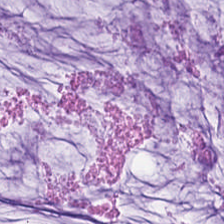Hematoxylin and eosin. FFPE.
Impression → mucin.
